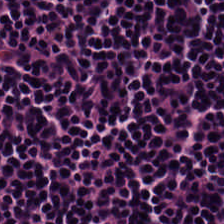224×224 px patch · hematoxylin-and-eosin stained section — Tissue = lymphocytes.
